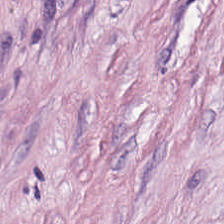H&E-stained tissue section — Q: What is the predominant tissue type?
A: Tumor-associated stroma.
